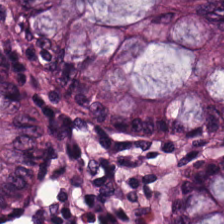H&E-stained tissue section — The tissue here is normal colon mucosa.
